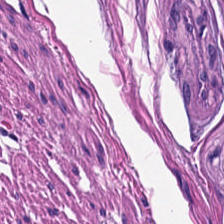H&E stain. Q: What type of tissue is this?
A: The field shows smooth muscle.
